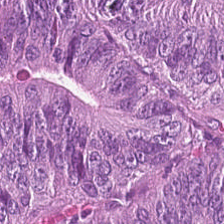H&E stain · FFPE — Impression — adenocarcinoma.
